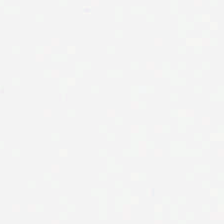Whole-slide-image patch; hematoxylin and eosin; 0.5 µm per pixel — No tissue present; background only.
